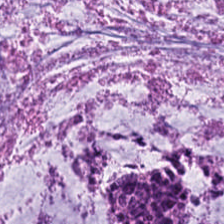H&E stain. 224×224 pixel tile. The predominant tissue is mucus.
